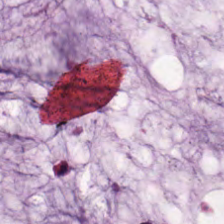FFPE. H&E-stained tissue section. Showing extracellular mucin.
